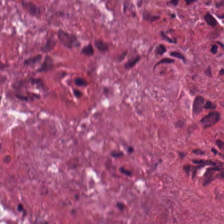H&E-stained tissue section — This field is cellular debris.
